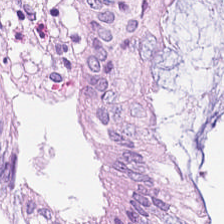Hematoxylin-and-eosin stained section. Finding → normal colonic mucosa.
